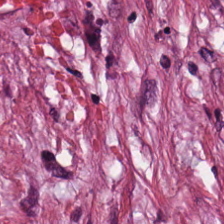This patch shows tumor stroma.
